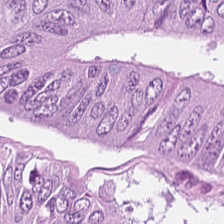Formalin-fixed paraffin-embedded section · hematoxylin and eosin · 224×224 px patch. Showing tumor epithelium.
